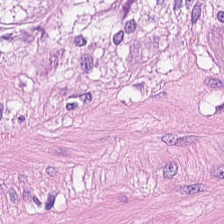The classification is smooth muscle.
